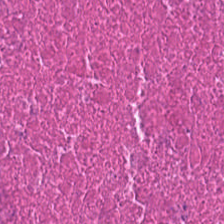0.5 µm/px; hematoxylin and eosin — {"tissue_type": "debris"}
